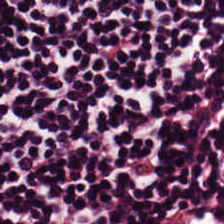Stain: hematoxylin and eosin.
Tissue class: lymphocyte aggregate.
